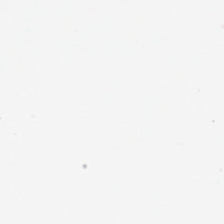Hematoxylin and eosin. 224×224 px tile — Q: What is shown here?
A: Background.
